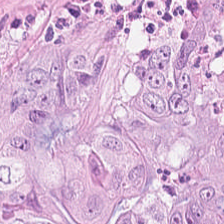Tissue type: adenocarcinoma.
